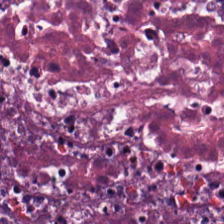Formalin-fixed paraffin-embedded section. H&E. Tissue — debris.
